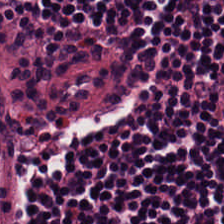Q: Identify the tissue.
A: The field shows lymphocytic infiltrate.
